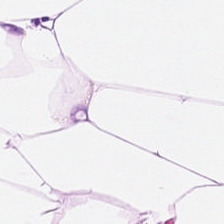224×224 px tile · hematoxylin-and-eosin stained section · FFPE tissue section — Finding → adipose tissue.
